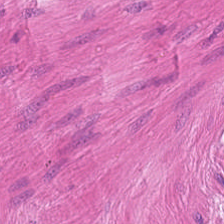Stain: hematoxylin and eosin.
Classification: muscularis.
